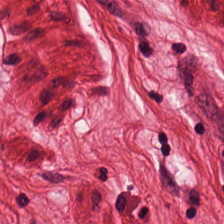Formalin-fixed paraffin-embedded section. H&E.
Showing muscularis.
